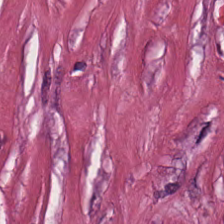H&E.
The tissue here is tumor-associated stroma.
